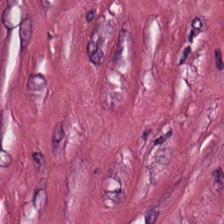Hematoxylin-and-eosin stained section · 224×224 pixel tile · 0.5 µm/px — This patch shows tumor stroma.
